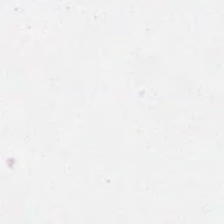H&E. 224×224 pixel tile — The classification is background (no tissue).
